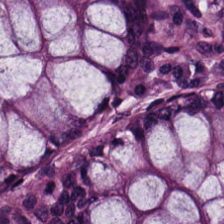H&E-stained tissue section.
This patch shows normal colonic mucosa.
